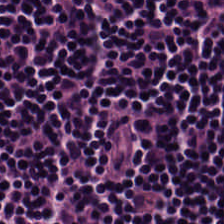FFPE tissue section. H&E — Classification — lymphocytic infiltrate.
